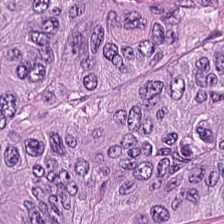H&E — The predominant tissue is adenocarcinoma.
